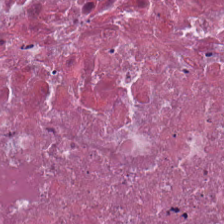224×224 px patch; hematoxylin-and-eosin stained section. Finding — necrotic debris.
